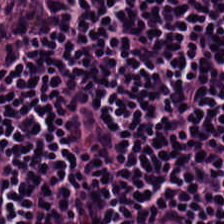H&E. Predominantly lymphocytic infiltrate.
